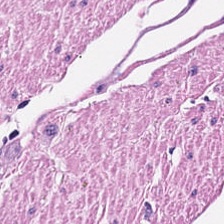WSI patch. Hematoxylin and eosin. 0.5 µm/px — Q: What is shown in this field?
A: Smooth muscle.
